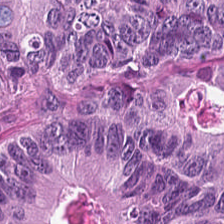The classification is colorectal adenocarcinoma.
